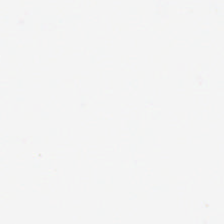FFPE; hematoxylin-and-eosin stained section. Q: Classify this patch.
A: This is empty background.
